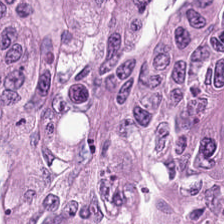Hematoxylin and eosin. FFPE — Q: Identify the tissue.
A: Colorectal adenocarcinoma epithelium.
